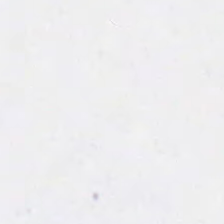Hematoxylin and eosin.
Content = background (no tissue).
